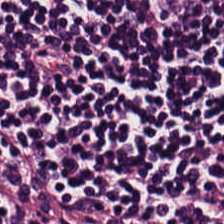Tissue class — lymphocytic infiltrate.
